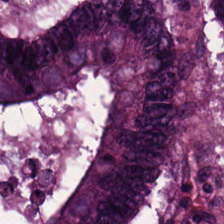H&E. The tissue here is tumor epithelium.
